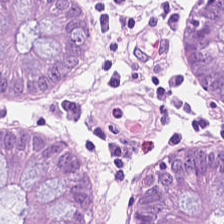224×224 px tile · 20× equivalent magnification · H&E-stained tissue section. Tissue class = non-neoplastic colon mucosa.
